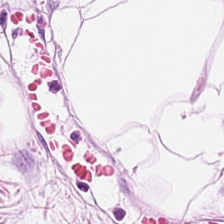0.5 µm/px · FFPE · hematoxylin-and-eosin stained section — Showing adipose tissue.
